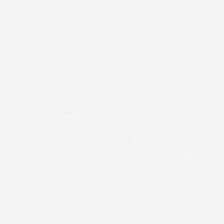Content: no tissue.
